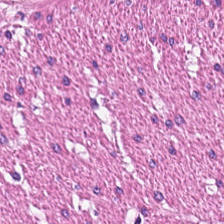H&E stain · FFPE — Histology — smooth-muscle tissue.
